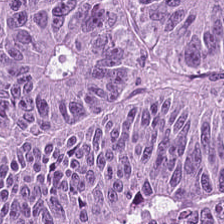H&E stain. Whole-slide-image patch. FFPE tissue section.
Tissue — colorectal adenocarcinoma epithelium.
